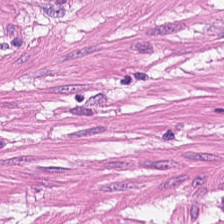H&E. Predominantly smooth-muscle tissue.
